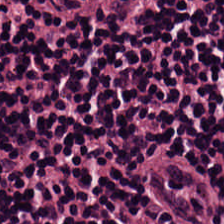224×224 px tile; 20× equivalent magnification; hematoxylin and eosin.
The predominant tissue is lymphocytes.
